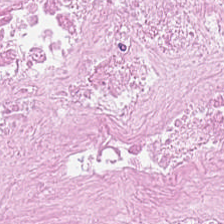Finding → cellular debris.
